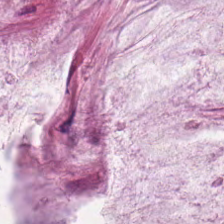Hematoxylin and eosin. FFPE — The predominant tissue is mucus.
